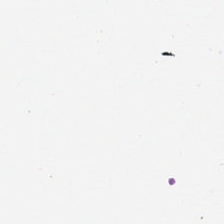H&E; FFPE tissue section.
Empty field — background.
